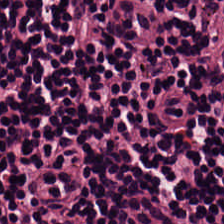Hematoxylin and eosin.
Showing lymphoid infiltrate.
